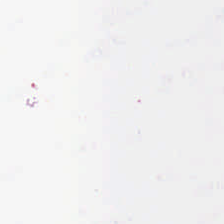H&E stain. FFPE tissue section.
Q: Classify this patch.
A: Background.
